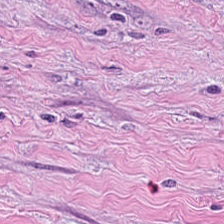Impression — desmoplastic stroma.
